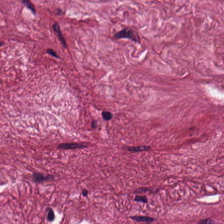Q: What type of tissue is this?
A: It is tumor stroma.
